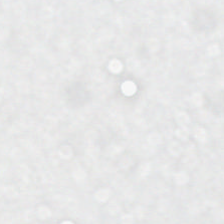H&E-stained tissue section — Background — no tissue in this field.
